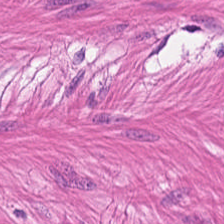H&E — Q: What is the predominant tissue type?
A: The field shows smooth-muscle tissue.
